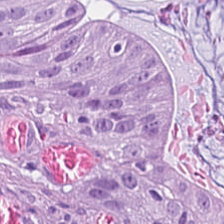0.5 µm/px. Hematoxylin and eosin — {"tissue_type": "colorectal adenocarcinoma"}
